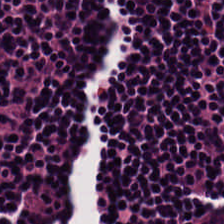Hematoxylin and eosin · brightfield. Showing lymphocytes.
